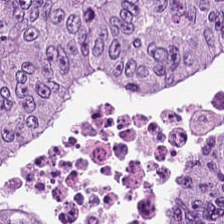224×224 pixel tile · H&E stain — Malignant epithelium.
